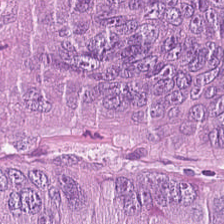H&E-stained tissue section.
This patch shows malignant epithelium.
